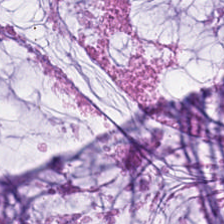H&E. 0.5 microns per pixel — Tissue class = mucus.
